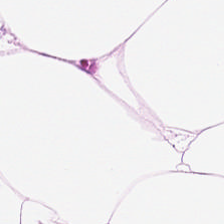Stain: hematoxylin and eosin.
Predominant tissue: adipose.
